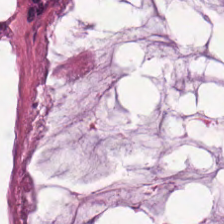Tissue type: mucin.
